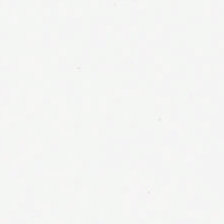H&E stain — Background — no tissue in this field.
